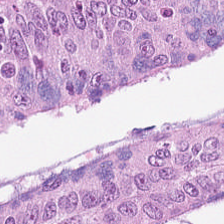Whole-slide-image patch. Hematoxylin-and-eosin stained section. 0.5 microns per pixel.
This patch shows colorectal adenocarcinoma epithelium.
